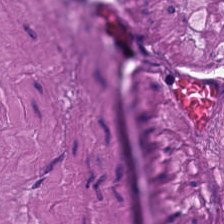Q: Identify the tissue.
A: It is smooth-muscle tissue.
